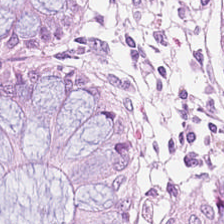Tissue = benign colonic mucosa.
